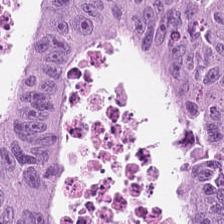H&E — Histology — malignant epithelium.
